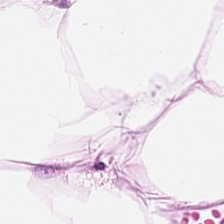Stain: H&E.
Classification: adipose tissue.
